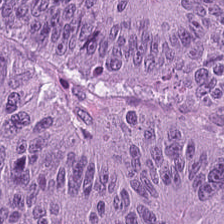H&E stain. 224×224 pixel tile. This patch shows tumor epithelium.
